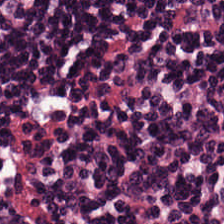H&E-stained tissue section.
The predominant tissue is lymphocyte aggregate.
